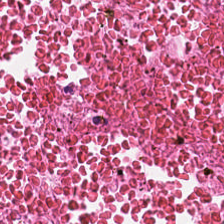Impression → debris.
